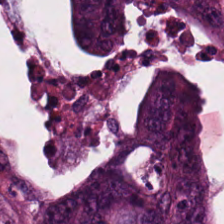0.5 microns per pixel · hematoxylin-and-eosin stained section. The tissue class is adenocarcinoma.
